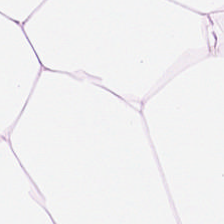Hematoxylin and eosin.
Tissue: adipose tissue.
